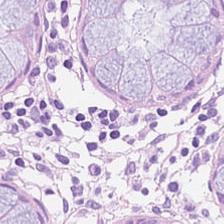H&E-stained tissue section — Tissue class: normal colonic mucosa.
